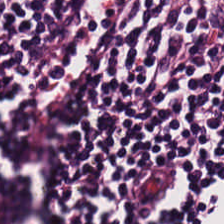Q: What is shown in this field?
A: The field shows lymphoid infiltrate.
